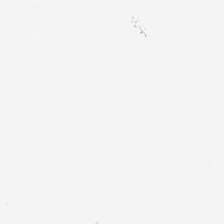Hematoxylin and eosin.
Field content = background (no tissue).
